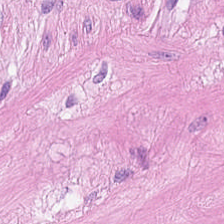H&E-stained tissue section · 0.5 µm per pixel.
Histology → smooth-muscle tissue.
